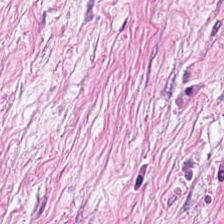{"tissue_type": "tumor stroma"}
